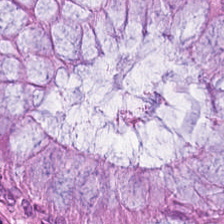Hematoxylin-and-eosin stained section. 0.5 µm/px. Showing normal colon mucosa.
